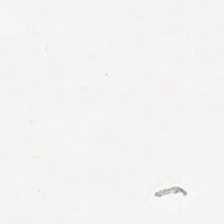Histology → background.
